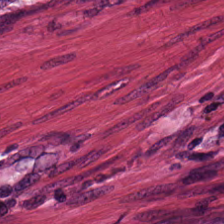224×224 pixel tile; H&E-stained tissue section.
Q: What is shown in this field?
A: It is tumor-associated stroma.
